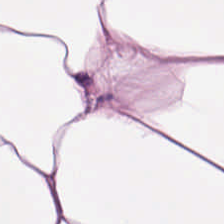H&E-stained tissue section.
Q: What type of tissue is this?
A: This is fat tissue.
